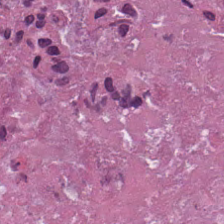Predominantly debris.
